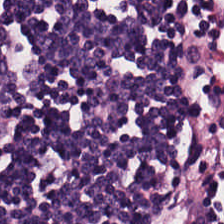H&E patch showing lymphocytic infiltrate.
